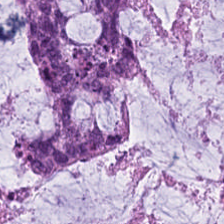H&E-stained section; the field shows mucus.
